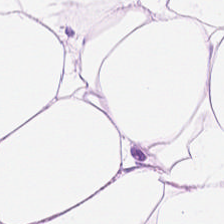224×224 px tile; hematoxylin-and-eosin stained section.
Q: What does this patch show?
A: It is fat tissue.
